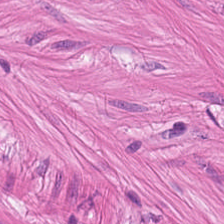Histology → muscularis.
